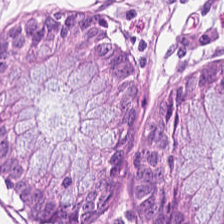Formalin-fixed paraffin-embedded section; hematoxylin and eosin.
Classification — non-neoplastic colon mucosa.
